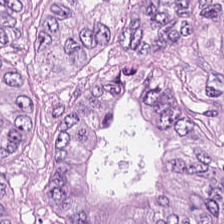Q: What does this patch show?
A: The field shows colorectal adenocarcinoma epithelium.
